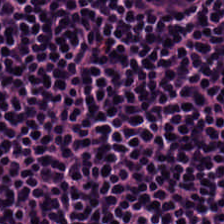Stain: H&E-stained tissue section.
Classification: lymphocytes.
